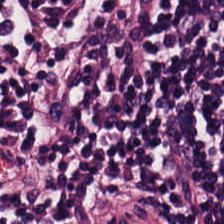Hematoxylin and eosin. Predominant tissue — lymphocyte aggregate.
